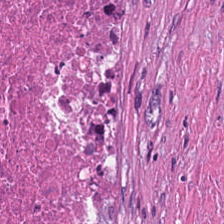H&E-stained section; the field shows necrotic debris.
